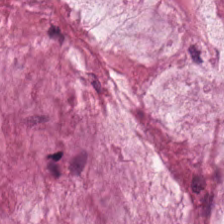Classification — mucus.
